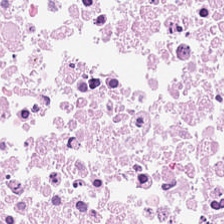H&E-stained tissue section — Impression → debris.
